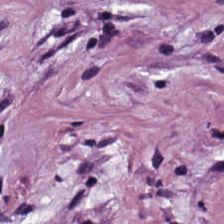H&E-stained tissue section. Predominant tissue — desmoplastic stroma.
